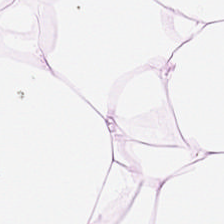0.5 µm per pixel; hematoxylin and eosin; WSI patch — Impression — adipocytes.
